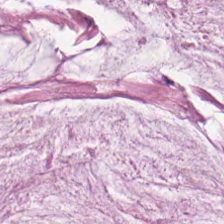Hematoxylin and eosin — Tissue type: mucin.
